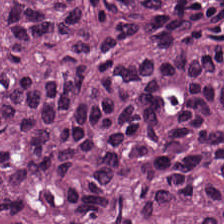Hematoxylin and eosin. 224×224 px tile — The tissue is colorectal adenocarcinoma epithelium.
